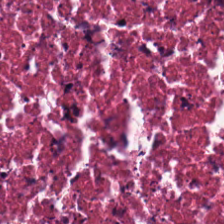224×224 px patch; brightfield; H&E stain. The predominant tissue is necrotic debris.
